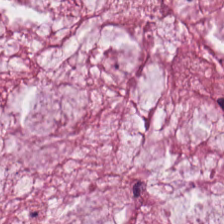H&E-stained tissue section; 224×224 px patch; brightfield. Tissue type = extracellular mucin.
